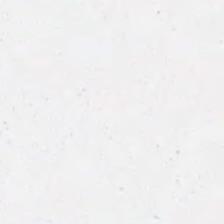H&E stain. Field content: background.
